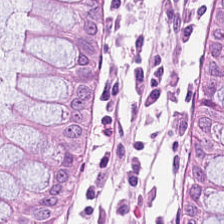Q: What tissue type is shown here?
A: It is benign colonic mucosa.
